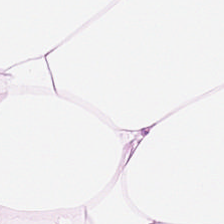224×224 px tile · 20× equivalent magnification · H&E-stained tissue section.
Tissue — adipocytes.
